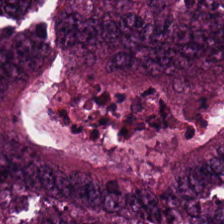H&E — Tissue type = tumor epithelium.
